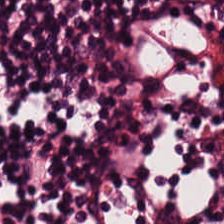Stain: hematoxylin-and-eosin stained section.
Tile size: 224×224 px tile.
Tissue class: lymphocytes.
